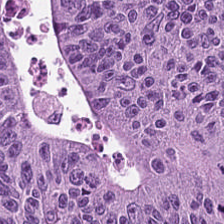Q: What tissue is shown?
A: The field shows colorectal adenocarcinoma.
